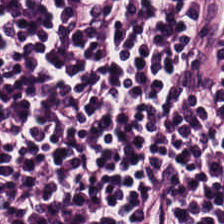224×224 pixel tile. Brightfield. Hematoxylin-and-eosin stained section.
The tissue here is lymphoid infiltrate.
